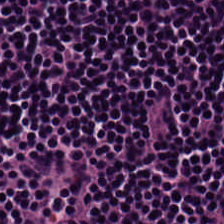H&E stain; 0.5 µm/px — Tissue type = lymphocytes.
